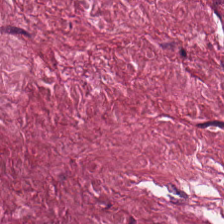Predominant tissue: desmoplastic stroma.
